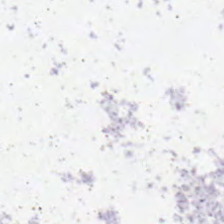Hematoxylin-and-eosin stained section.
Q: What does this patch show?
A: Empty background.
